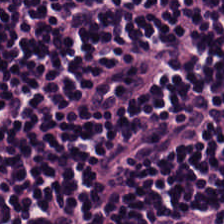H&E-stained tissue section. Predominant tissue — lymphocytic infiltrate.
